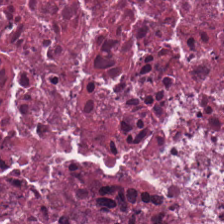H&E patch showing necrotic debris.
